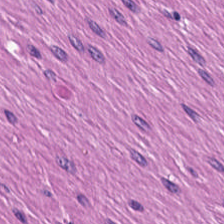H&E stain — Q: What is shown in this field?
A: This is smooth muscle.
